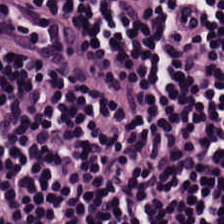H&E. Tissue type = lymphocyte aggregate.
